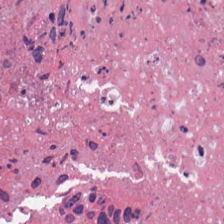Predominant tissue — cellular debris.
